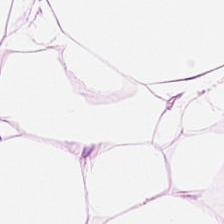0.5 µm/px; H&E stain; brightfield. Histology → adipocytes.
